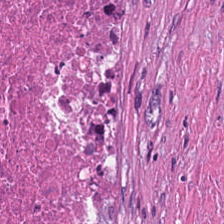H&E stain; 224×224 px tile. The tissue here is debris.
